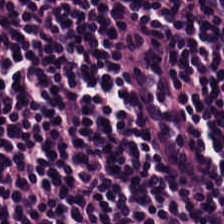Histology → lymphocytes.
